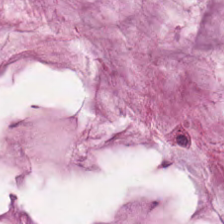H&E stain — Impression → mucin.
